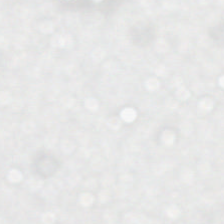Hematoxylin and eosin.
Field content = background.
